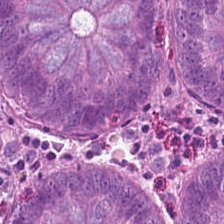Stain: H&E stain.
Resolution: 0.5 µm/px.
Classification: non-neoplastic colon mucosa.
